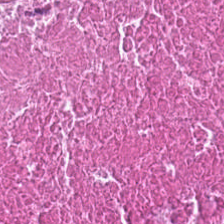H&E — Predominantly cellular debris.
